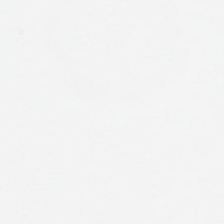Whole-slide-image patch. 224×224 px patch. Hematoxylin and eosin — Q: What is shown in this field?
A: The field shows empty background.
